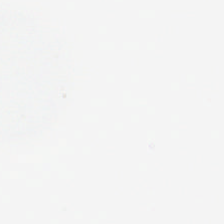No tissue.
